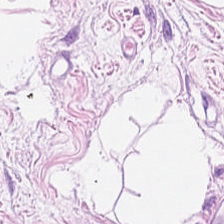Predominantly fat tissue.
